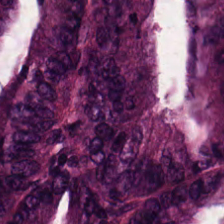Q: Classify this patch.
A: It is colorectal adenocarcinoma epithelium.
